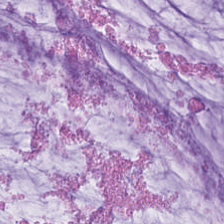Stain: hematoxylin and eosin.
Tissue class: extracellular mucin.
